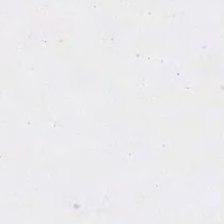H&E-stained tissue section.
Empty field — no tissue.
